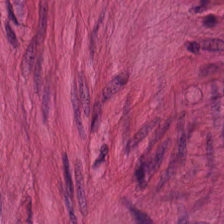FFPE tissue section; hematoxylin and eosin. The tissue is smooth muscle.
